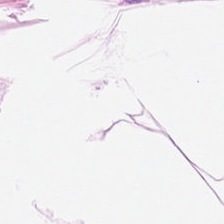H&E · 0.5 µm per pixel. Finding — adipocytes.
